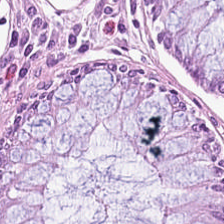Stain: H&E-stained tissue section.
Predominant tissue: benign colonic mucosa.
